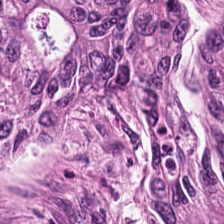H&E-stained tissue section.
Adenocarcinoma.
